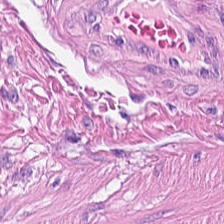H&E.
Q: What tissue type is shown here?
A: It is smooth-muscle tissue.
